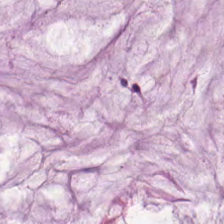Stain: hematoxylin-and-eosin stained section.
Predominant tissue: mucus.
